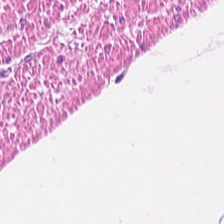224×224 px tile. H&E.
Histology — smooth muscle.
